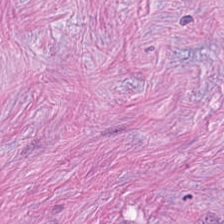Hematoxylin and eosin.
Impression — tumor stroma.
